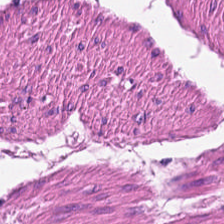FFPE tissue section; H&E-stained tissue section. The predominant tissue is smooth muscle.
